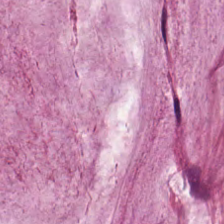Hematoxylin-and-eosin stained section. Q: What is shown here?
A: Mucus.
